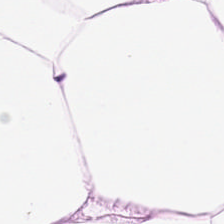Q: What is the predominant tissue type?
A: This is fat tissue.
